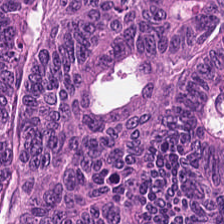H&E-stained tissue section.
Impression — adenocarcinoma.
